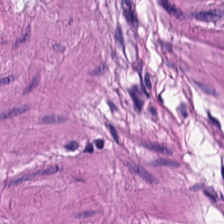Hematoxylin-and-eosin stained section — The tissue class is smooth muscle.
